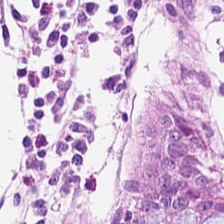Predominant tissue = normal colon mucosa.
